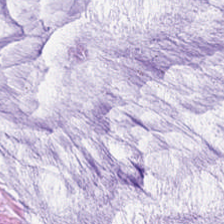The predominant tissue is mucus.
